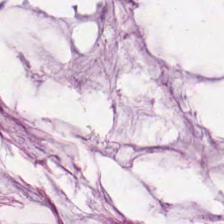0.5 microns per pixel · formalin-fixed paraffin-embedded section · H&E stain. Tissue type: mucus.
